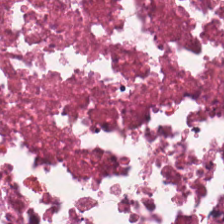Tissue type — cellular debris.
